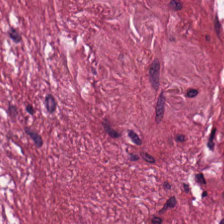Histology — cancer-associated stroma.
